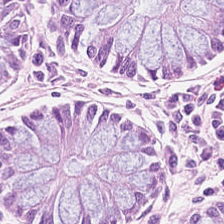FFPE. 224×224 px tile. H&E. Normal colonic mucosa.
